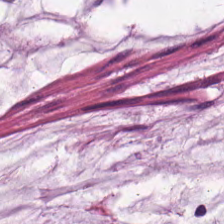Predominant tissue: extracellular mucin.
